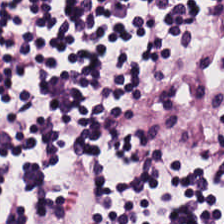Histology — lymphocyte aggregate.
